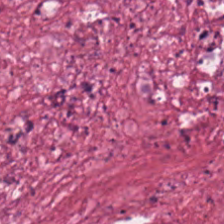H&E-stained tissue section · formalin-fixed paraffin-embedded section. Histology → desmoplastic stroma.
